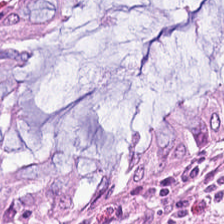H&E-stained tissue section. Q: What is the predominant tissue type?
A: It is benign colonic mucosa.
